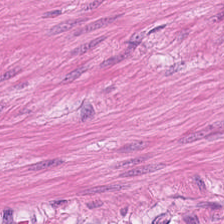Hematoxylin-and-eosin stained section. The predominant tissue is smooth-muscle tissue.
